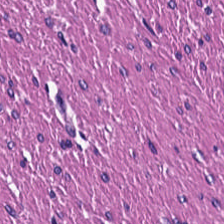Stain: H&E.
Tissue: smooth muscle.
